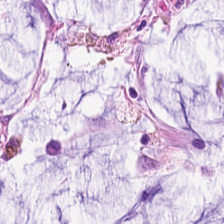H&E. Showing mucin.
